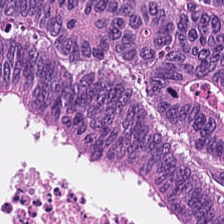Hematoxylin and eosin — Histology — adenocarcinoma.
